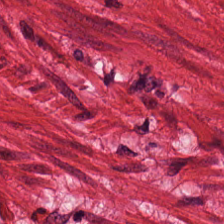Hematoxylin-and-eosin stained section. This field is muscularis.
